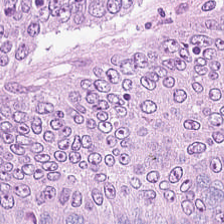Stain: H&E-stained tissue section.
Predominant tissue: colorectal adenocarcinoma.
